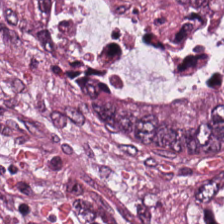Predominantly colorectal adenocarcinoma.
